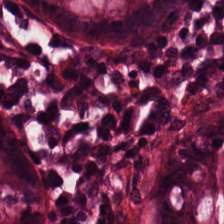H&E-stained tissue section. Showing normal colon mucosa.
